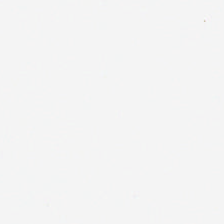Hematoxylin-and-eosin stained section.
This patch shows background.
